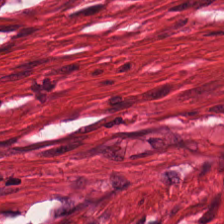Hematoxylin-and-eosin section: smooth muscle.
